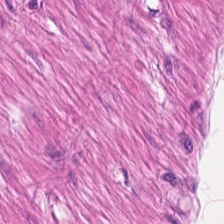Q: What type of tissue is this?
A: Smooth muscle.
